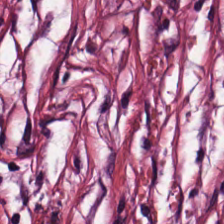Q: What type of tissue is this?
A: This is desmoplastic stroma.
